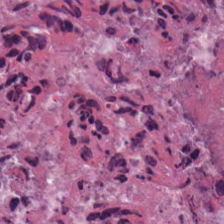Q: What tissue type is shown here?
A: This is necrotic debris.
